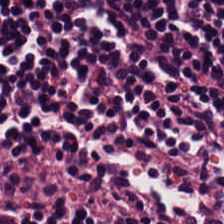Stain: H&E-stained tissue section.
Classification: lymphocytic infiltrate.
